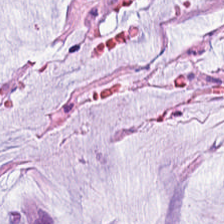H&E stain. Brightfield. Q: What tissue is shown?
A: The field shows mucus.
